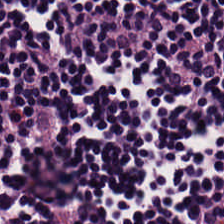FFPE tissue section · H&E · brightfield — Finding → lymphoid infiltrate.
